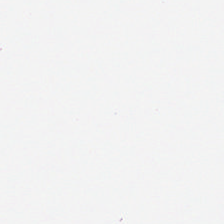WSI patch · H&E stain.
No tissue present; background only.
